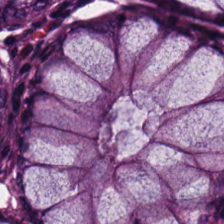Stain: H&E-stained tissue section.
Tissue class: non-neoplastic colon mucosa.
